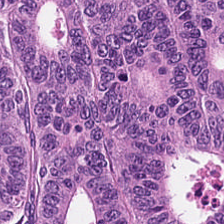Stain: H&E stain.
Tile size: 224×224 pixel tile.
Resolution: 0.5 µm/px.
Tissue class: tumor epithelium.
